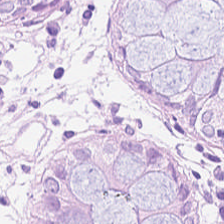Brightfield · hematoxylin and eosin — Tissue type — benign colonic mucosa.
